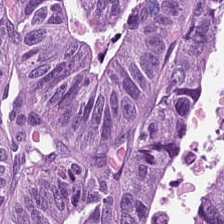Stain: hematoxylin and eosin.
Tissue class: colorectal adenocarcinoma.
